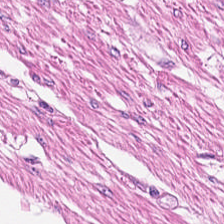H&E-stained tissue section.
Muscularis.
